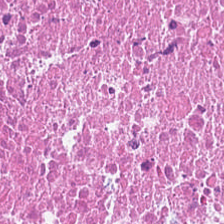This patch shows cellular debris.
